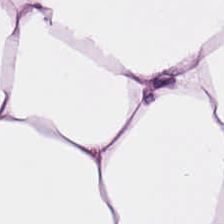Hematoxylin and eosin — Showing fat tissue.
